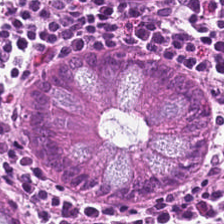FFPE tissue section · hematoxylin-and-eosin stained section — Showing normal colonic mucosa.
